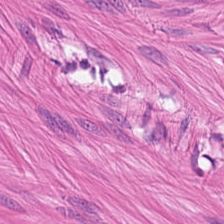Stain: hematoxylin-and-eosin stained section.
Tissue class: muscularis.
